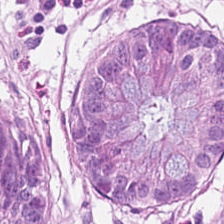H&E — normal colon mucosa.
